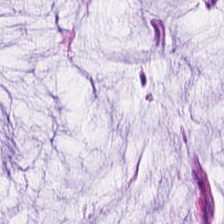Brightfield microscopy · H&E-stained tissue section. Tissue type — mucin.
